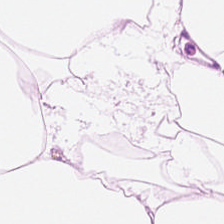Hematoxylin and eosin.
Fat tissue.
